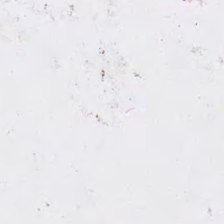Hematoxylin-and-eosin stained section. Histology — background.
